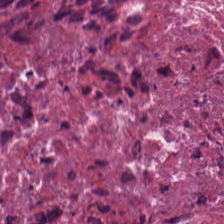Hematoxylin-and-eosin stained section. Q: What does this patch show?
A: Debris.
